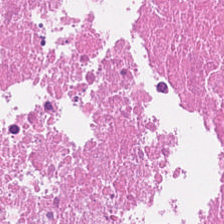Stain: H&E.
Classification: necrotic debris.
